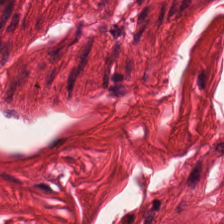Hematoxylin-and-eosin stained section · 0.5 µm per pixel — Finding → muscularis.
